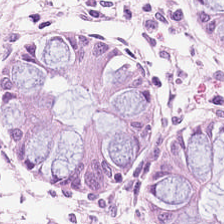H&E. Classification: benign colonic mucosa.
